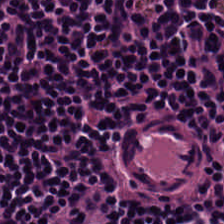Hematoxylin-and-eosin stained section — Lymphocyte aggregate.
